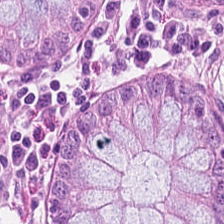224×224 px patch · H&E · brightfield. The tissue here is normal colon mucosa.
